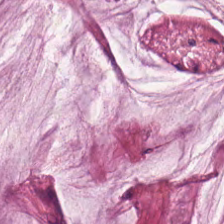Hematoxylin and eosin. The tissue here is mucus.
